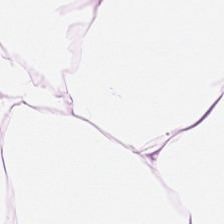Formalin-fixed paraffin-embedded section · WSI patch · H&E — Adipocytes.
